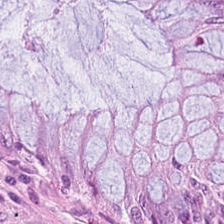Stain: H&E stain.
Classification: benign colonic mucosa.
